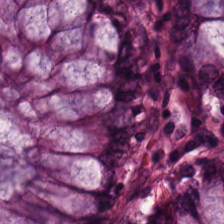Q: What is shown here?
A: This is normal colonic mucosa.
